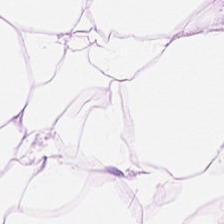H&E-stained tissue section; formalin-fixed paraffin-embedded section. Predominant tissue: adipocytes.
